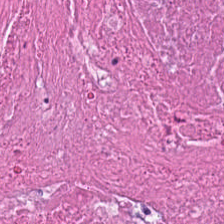Showing necrotic debris.
